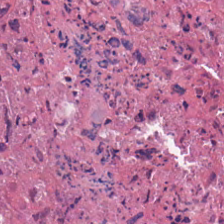Stain: H&E stain.
Acquisition: WSI patch.
Tissue type: necrotic debris.
